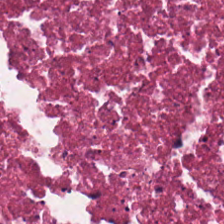224×224 px tile · hematoxylin-and-eosin stained section. Q: Identify the tissue.
A: It is necrotic debris.
